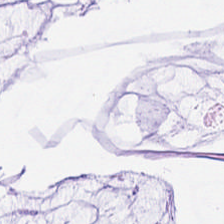224×224 px patch · H&E stain — Classification: mucus.
